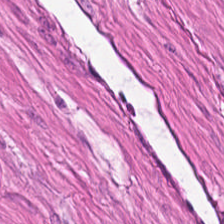Tissue = smooth muscle.
